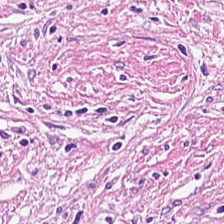Hematoxylin-and-eosin stained section. Showing desmoplastic stroma.
